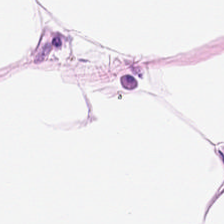Stain: H&E.
Preparation: FFPE tissue section.
Tissue type: fat tissue.
